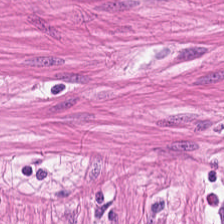Stain: hematoxylin and eosin.
Classification: smooth muscle.
